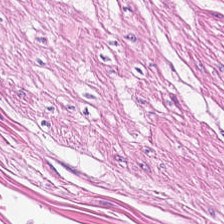Stain: hematoxylin-and-eosin stained section.
Resolution: 0.5 µm/px.
Tissue type: smooth muscle.
